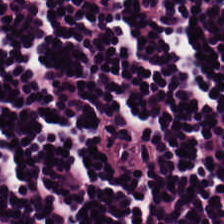Hematoxylin and eosin — Predominantly lymphocytic infiltrate.
